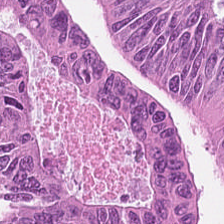Classification: malignant epithelium.
